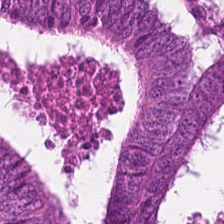WSI patch; FFPE tissue section; H&E-stained tissue section — Q: What does this patch show?
A: Colorectal adenocarcinoma epithelium.
